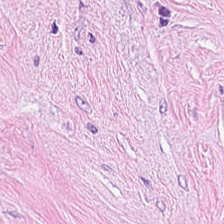H&E. The predominant tissue is cancer-associated stroma.
